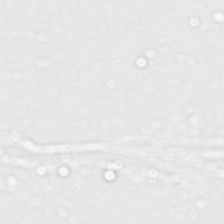Hematoxylin-and-eosin stained section.
Empty field — empty background.
